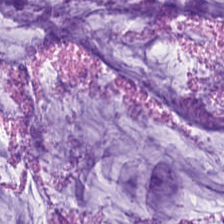224×224 pixel tile · H&E-stained tissue section. Q: What does this patch show?
A: Mucus.
